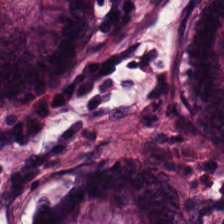H&E-stained tissue section showing non-neoplastic colon mucosa.
